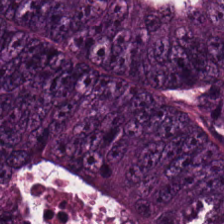H&E — malignant epithelium.
